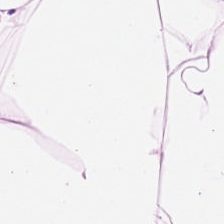Tissue: adipose.
